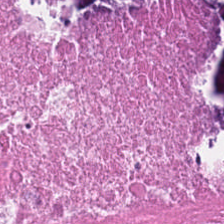Hematoxylin-and-eosin stained section.
This field is cellular debris.
